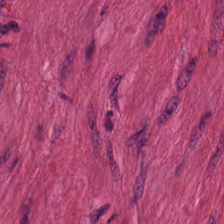Stain: H&E stain.
Classification: smooth-muscle tissue.
